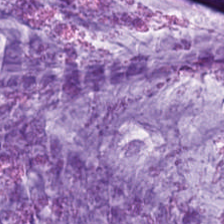H&E — mucus.
